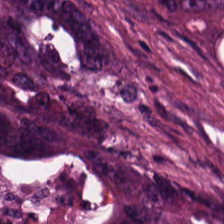Stain: hematoxylin and eosin.
Preparation: FFPE tissue section.
Tissue type: adenocarcinoma.
